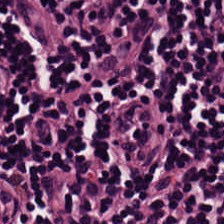Hematoxylin and eosin — Tissue type = lymphoid infiltrate.
